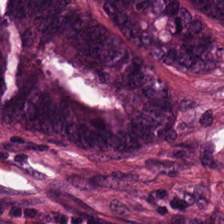H&E-stained tissue section.
Classification: malignant epithelium.
